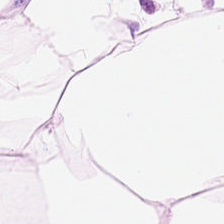Adipose tissue.
